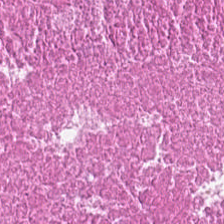20× equivalent magnification. H&E stain. FFPE tissue section.
The predominant tissue is cellular debris.
